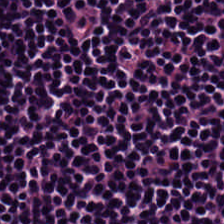H&E; 0.5 microns per pixel — Q: What does this patch show?
A: This is lymphocytic infiltrate.
